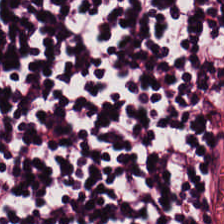H&E. Q: What does this patch show?
A: The field shows lymphocytes.
